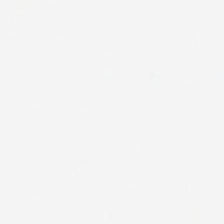Q: What is shown in this field?
A: Empty background.
